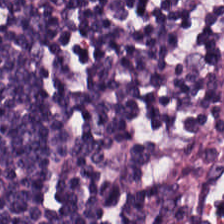H&E — Predominant tissue — lymphoid infiltrate.
